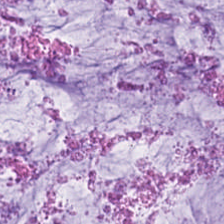H&E — Showing mucin.
